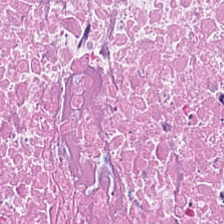224×224 px patch · H&E · WSI patch.
This patch shows necrotic debris.
